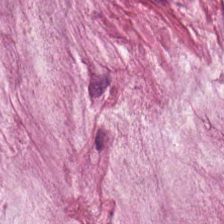H&E stain. Tissue class = mucus.
